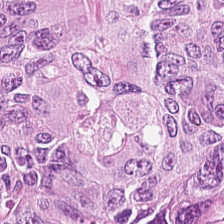H&E patch showing colorectal adenocarcinoma epithelium.
